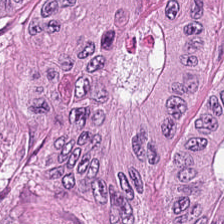Stain: H&E-stained tissue section.
Preparation: FFPE.
Tissue type: tumor epithelium.
